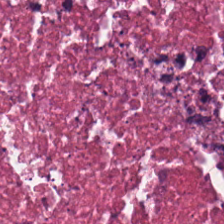Stain: H&E-stained tissue section.
Predominant tissue: debris.
